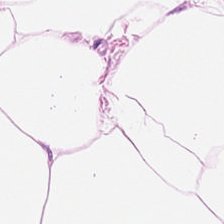Hematoxylin and eosin.
Tissue type: adipose.
